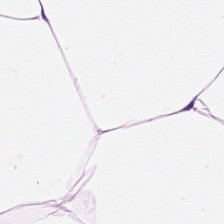Hematoxylin-and-eosin stained section — This patch shows adipose tissue.
